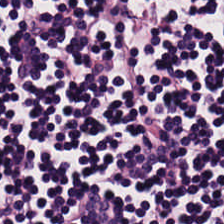H&E-stained tissue section — Histology → lymphocytes.
